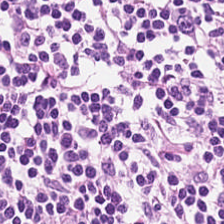H&E. 224×224 px tile. Q: Identify the tissue.
A: Lymphocytes.
